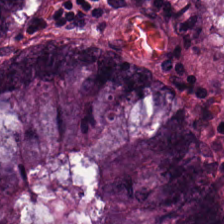FFPE tissue section; H&E; 0.5 microns per pixel — Tissue class — adenocarcinoma.
